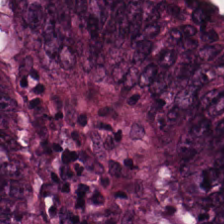H&E. Adenocarcinoma.
